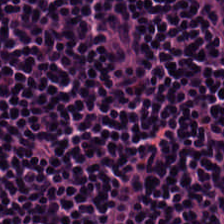Hematoxylin and eosin. Brightfield. Tissue = lymphocytic infiltrate.
